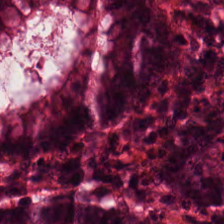Hematoxylin and eosin. Tissue type = non-neoplastic colon mucosa.
